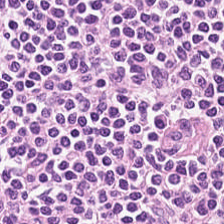0.5 µm/px · whole-slide-image patch · hematoxylin and eosin — The tissue here is lymphocyte aggregate.
